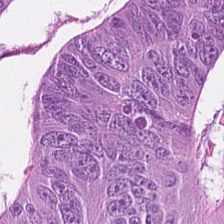H&E stain; 0.5 µm/px; whole-slide-image patch.
The predominant tissue is colorectal adenocarcinoma epithelium.
